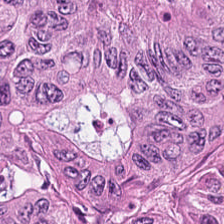H&E · 224×224 pixel tile.
Tissue class = tumor epithelium.
